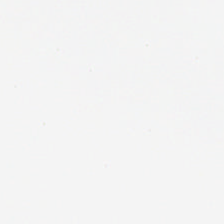Stain: H&E stain.
Content: empty background.
